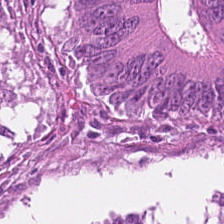H&E stain — The predominant tissue is adenocarcinoma.
